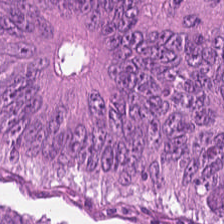{"tissue_type": "colorectal adenocarcinoma epithelium"}
